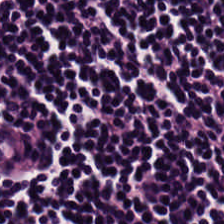H&E stain.
Tissue class: lymphocytic infiltrate.
